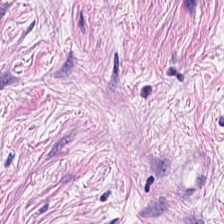H&E. Finding → cancer-associated stroma.
